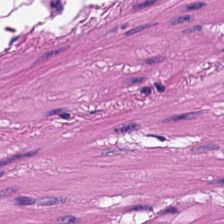0.5 µm per pixel; H&E-stained tissue section. Tissue class: smooth-muscle tissue.
